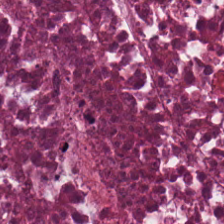Classification — debris.
